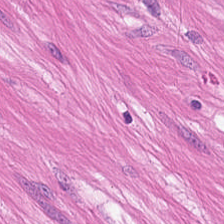Hematoxylin-and-eosin stained section · formalin-fixed paraffin-embedded section · 224×224 px patch — Smooth-muscle tissue.
